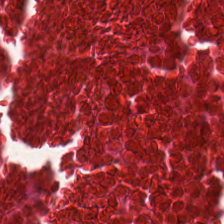FFPE; H&E; brightfield.
This field is cellular debris.
